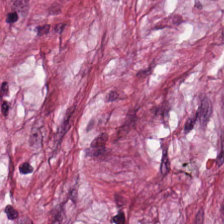H&E stain. Classification: tumor stroma.
